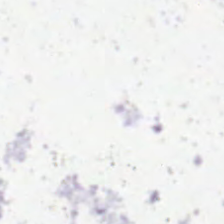H&E · whole-slide-image patch · FFPE.
Q: What is shown here?
A: It is background.
